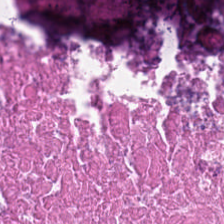Q: What tissue type is shown here?
A: This is cellular debris.
